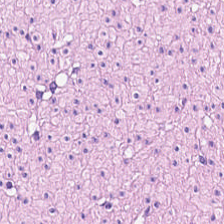H&E — Q: What is the predominant tissue type?
A: Smooth-muscle tissue.
